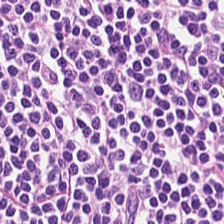H&E-stained tissue section — Tissue — lymphoid infiltrate.
